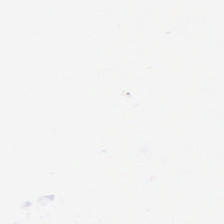Stain: H&E-stained tissue section.
Content: empty background.
